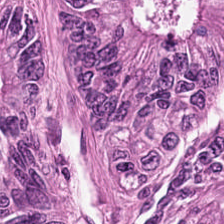Stain: hematoxylin-and-eosin stained section.
Preparation: FFPE tissue section.
Tissue type: colorectal adenocarcinoma epithelium.
